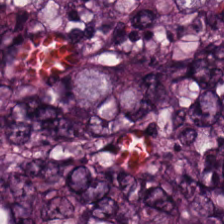Brightfield; hematoxylin-and-eosin stained section. Q: What tissue type is shown here?
A: It is colorectal adenocarcinoma.
